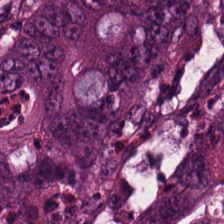Histology → colorectal adenocarcinoma.
